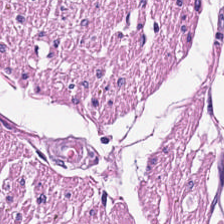H&E stain — Smooth muscle.
